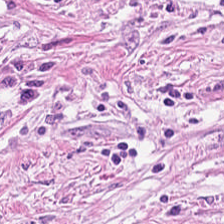H&E stain.
Q: What type of tissue is this?
A: It is desmoplastic stroma.
